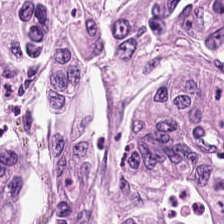H&E-stained tissue section. Malignant epithelium.
